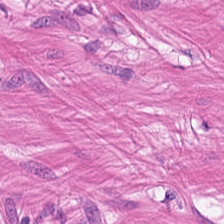H&E-stained tissue section — Impression — muscularis.
